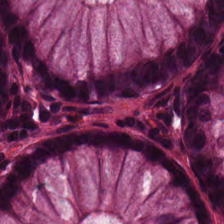Finding — normal colonic mucosa.
